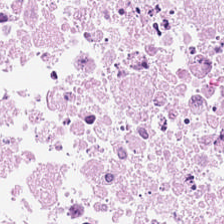Predominant tissue — debris.
